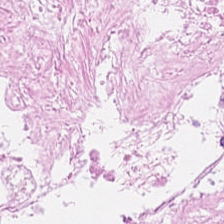Impression — necrotic debris.
